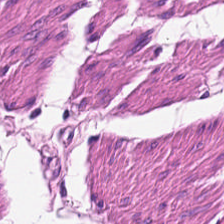H&E-stained tissue section.
Q: What is shown here?
A: It is muscularis.
